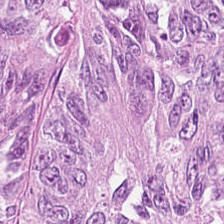H&E-stained tissue section. The tissue here is tumor epithelium.
